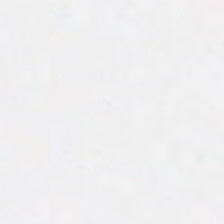Stain: H&E.
Field content: no tissue.
